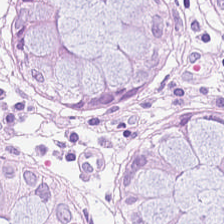Hematoxylin and eosin — Tissue type = normal colon mucosa.
